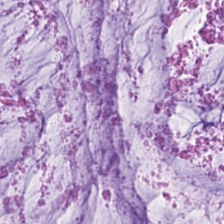Stain: H&E.
Classification: extracellular mucin.
